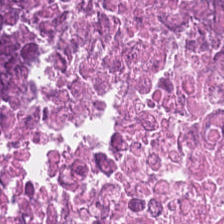Brightfield microscopy · H&E.
Q: Classify this patch.
A: It is cellular debris.
